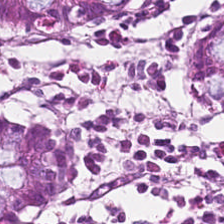H&E-stained tissue section · 0.5 microns per pixel · FFPE — Tissue — non-neoplastic colon mucosa.
